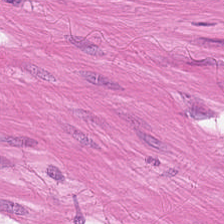Histology → smooth muscle.
